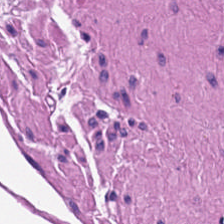Formalin-fixed paraffin-embedded section; 224×224 px tile; H&E stain.
Showing smooth muscle.
